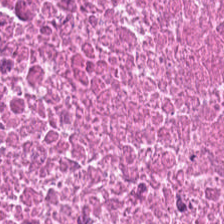H&E stain. {"tissue_type": "cellular debris"}
